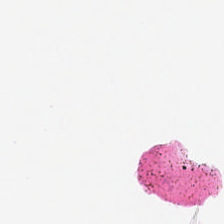Whole-slide-image patch · hematoxylin-and-eosin stained section · 224×224 px patch.
Empty field — no tissue.
